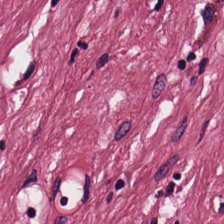224×224 pixel tile. H&E — Showing tumor stroma.
